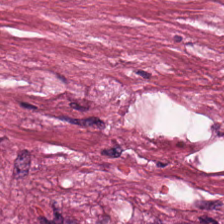Whole-slide-image patch · 224×224 pixel tile · hematoxylin-and-eosin stained section — Predominant tissue: cellular debris.
